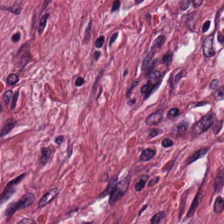Hematoxylin and eosin. 224×224 px patch. {"tissue_type": "desmoplastic stroma"}
